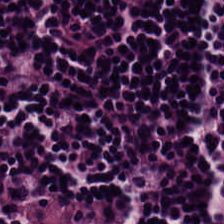H&E stain. The tissue is lymphocytes.
